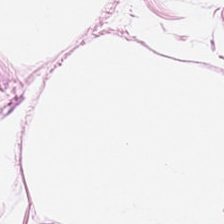Stain: H&E.
Acquisition: WSI patch.
Tile size: 224×224 px patch.
Tissue class: adipose.
